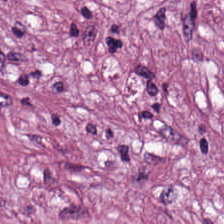H&E. Q: Classify this patch.
A: Cancer-associated stroma.
